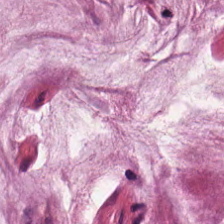H&E stain · formalin-fixed paraffin-embedded section · 224×224 px patch — {"tissue_type": "mucus"}
